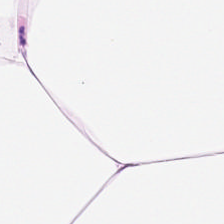Tissue = adipocytes.
